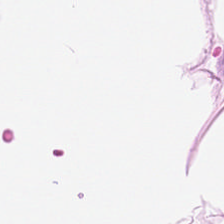Stain: hematoxylin and eosin.
Tissue class: adipose.
